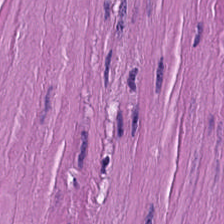Whole-slide-image patch · hematoxylin and eosin. Finding → smooth-muscle tissue.
